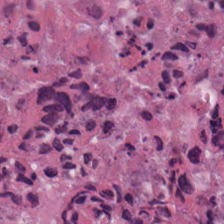Brightfield. Hematoxylin and eosin. Q: Classify this patch.
A: The field shows cellular debris.
